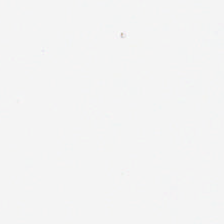Hematoxylin-and-eosin stained section — Q: Classify this patch.
A: Background (no tissue).
